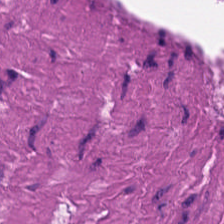H&E stain. Tissue class — muscularis.
